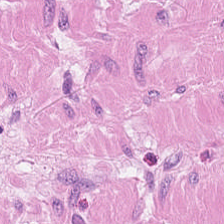FFPE tissue section; whole-slide-image patch; H&E.
Tissue class: smooth muscle.
